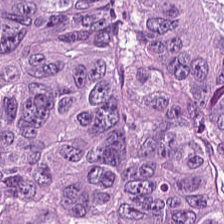Q: What is shown here?
A: Adenocarcinoma.
